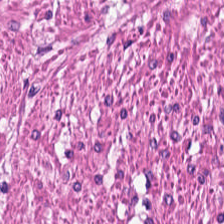FFPE. Hematoxylin and eosin.
Finding — muscularis.
